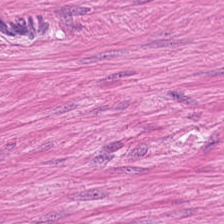Hematoxylin and eosin; FFPE tissue section; 0.5 µm per pixel.
Histology → smooth-muscle tissue.
